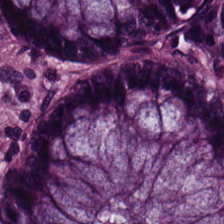Stain: H&E stain.
Tile size: 224×224 px patch.
Tissue type: benign colonic mucosa.
